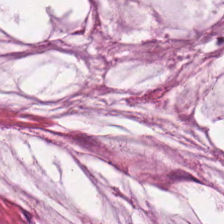Stain: H&E stain.
Acquisition: brightfield microscopy.
Tissue: extracellular mucin.
